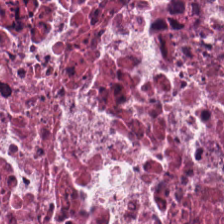H&E.
The tissue here is debris.
